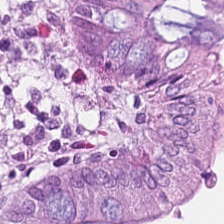224×224 px tile · brightfield · H&E.
Tissue — normal colon mucosa.
